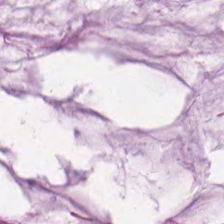Stain: H&E stain.
Resolution: 0.5 µm per pixel.
Preparation: formalin-fixed paraffin-embedded section.
Tissue class: extracellular mucin.
